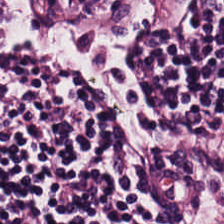H&E. Finding — lymphocytes.
